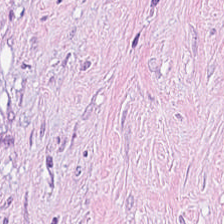0.5 microns per pixel; H&E stain — Q: Identify the tissue.
A: Cancer-associated stroma.
